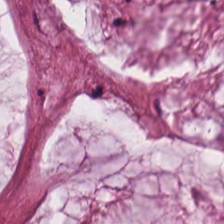H&E-stained tissue section. Histology → mucus.
